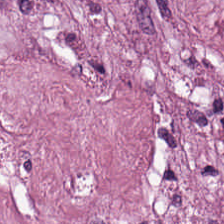Hematoxylin and eosin — Finding — tumor stroma.
